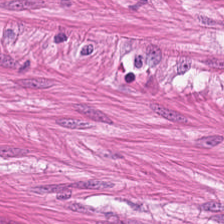Brightfield microscopy; H&E stain.
This patch shows muscularis.
